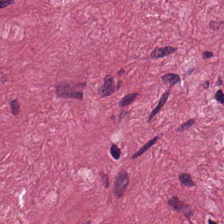Hematoxylin and eosin — Predominant tissue = desmoplastic stroma.
